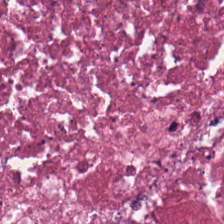Hematoxylin and eosin. Brightfield — Classification — debris.
